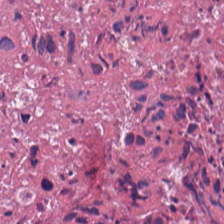20× equivalent magnification · hematoxylin and eosin · 224×224 px patch. Cellular debris.
